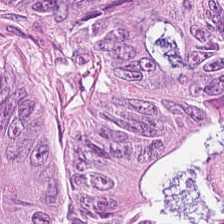H&E stain.
Predominantly malignant epithelium.
